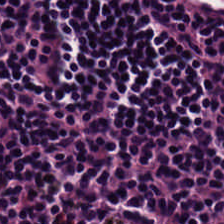224×224 px tile · H&E.
Predominantly lymphoid infiltrate.
